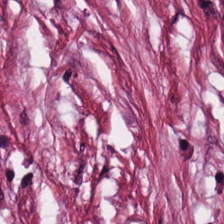Finding → desmoplastic stroma.
